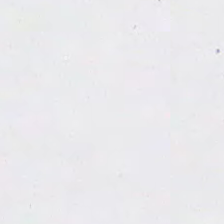H&E stain.
Field content = background.
